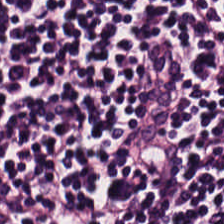Histology → lymphoid infiltrate.
